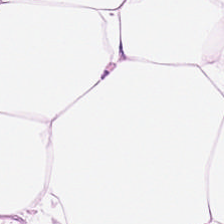Formalin-fixed paraffin-embedded section · 224×224 pixel tile · H&E. Finding → fat tissue.
